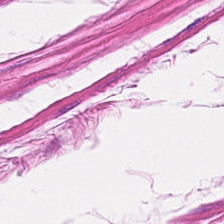Muscularis.
